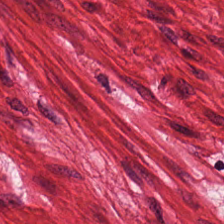224×224 px patch. H&E-stained tissue section. Predominant tissue: smooth-muscle tissue.
